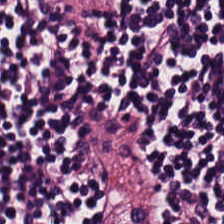H&E stain. The tissue here is lymphocytic infiltrate.
